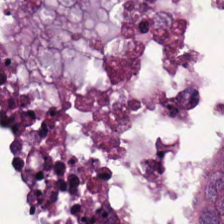0.5 microns per pixel; H&E-stained tissue section.
Tissue type = tumor epithelium.
